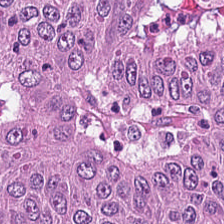Brightfield · H&E stain — Colorectal adenocarcinoma.
